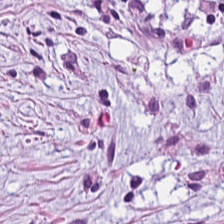20× equivalent magnification; hematoxylin-and-eosin stained section. The tissue class is desmoplastic stroma.
